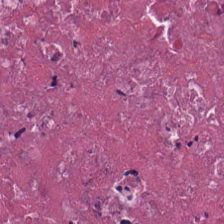Stain: hematoxylin and eosin.
Tissue type: cellular debris.
